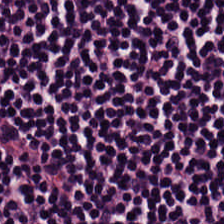WSI patch; H&E stain — Finding → lymphocyte aggregate.
